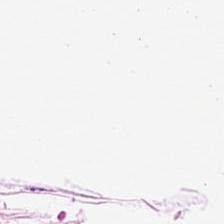Hematoxylin and eosin — Tissue — fat tissue.
